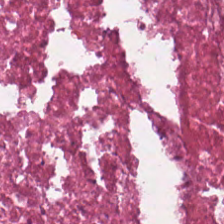Stain: H&E-stained tissue section.
Preparation: FFPE.
Tile size: 224×224 pixel tile.
Tissue class: cellular debris.
